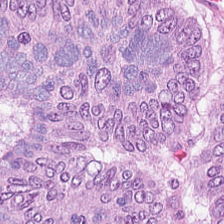Stain: H&E.
Classification: malignant epithelium.
